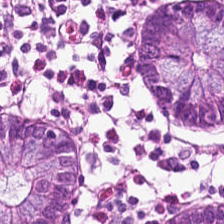Normal colon mucosa.
